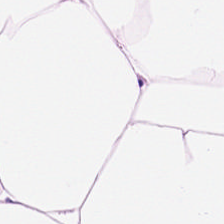Q: What is shown in this field?
A: It is adipose.
